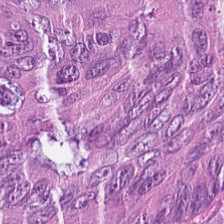H&E-stained tissue section. Predominantly adenocarcinoma.
